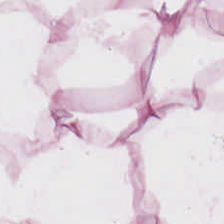Hematoxylin-and-eosin stained section; 0.5 µm per pixel; WSI patch. Impression → adipose tissue.
